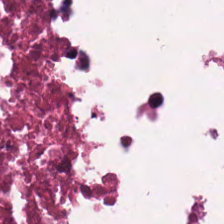H&E. Predominantly necrotic debris.
